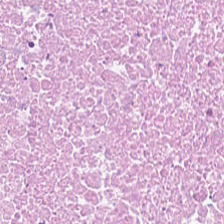Hematoxylin and eosin; brightfield; FFPE.
The predominant tissue is necrotic debris.
